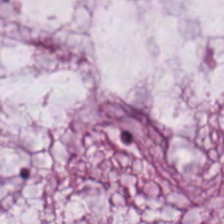H&E patch showing extracellular mucin.
